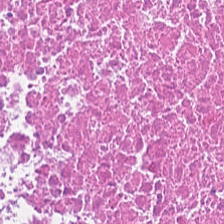FFPE · H&E-stained tissue section. Q: What does this patch show?
A: The field shows cellular debris.
